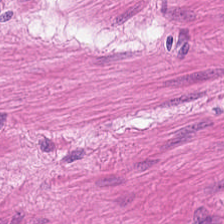H&E-stained tissue section · brightfield. This field is muscularis.
